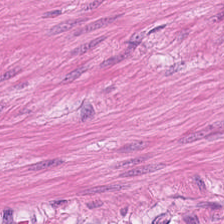Hematoxylin and eosin; 224×224 px patch; brightfield. Showing smooth muscle.
